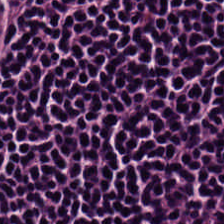0.5 µm/px; hematoxylin-and-eosin stained section — The tissue type is lymphocytic infiltrate.
